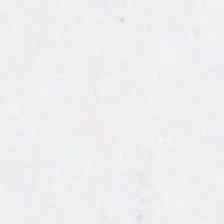0.5 µm per pixel. Hematoxylin-and-eosin stained section. 224×224 px tile. Impression → empty background.
